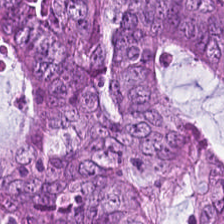Hematoxylin and eosin. The predominant tissue is tumor epithelium.
